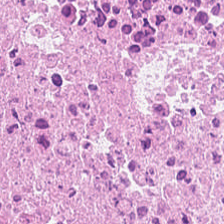H&E stain — This field is cellular debris.
